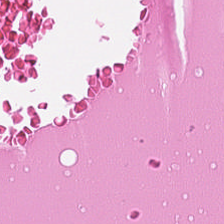Stain: hematoxylin and eosin.
Tissue class: cellular debris.
